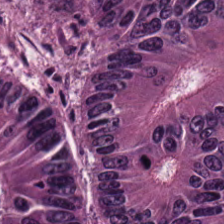Stain: H&E stain.
Tile size: 224×224 px tile.
Acquisition: WSI patch.
Tissue: adenocarcinoma.
